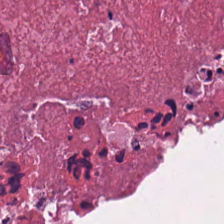H&E stain · WSI patch · 224×224 px patch.
Tissue type — cellular debris.
